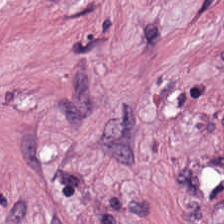H&E-stained tissue section; formalin-fixed paraffin-embedded section — Showing tumor-associated stroma.
